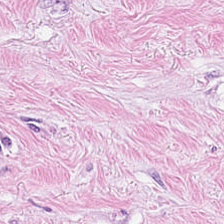Desmoplastic stroma.
